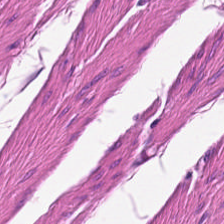FFPE tissue section; H&E — This patch shows smooth muscle.
